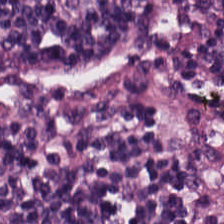H&E-stained tissue section. Q: What is shown here?
A: Lymphocyte aggregate.
